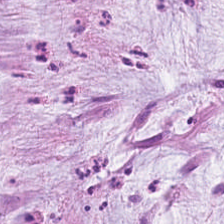H&E-stained tissue section. Brightfield microscopy.
Tissue class = mucin.
